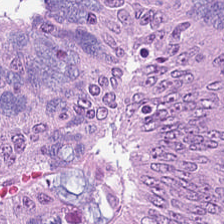H&E. The predominant tissue is malignant epithelium.
